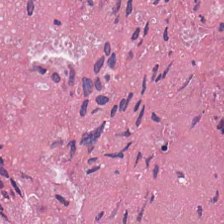Histology → debris.
